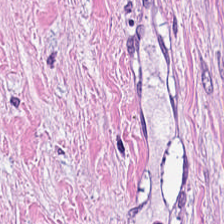The tissue here is tumor-associated stroma.
